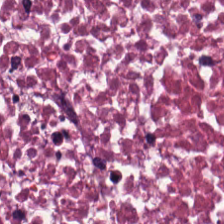H&E-stained tissue section — Cellular debris.
